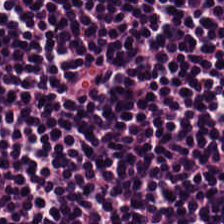Stain: H&E.
Predominant tissue: lymphocytic infiltrate.
